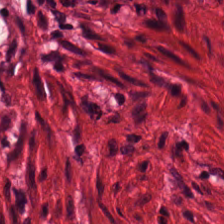H&E stain. Q: What is the predominant tissue type?
A: This is muscularis.
